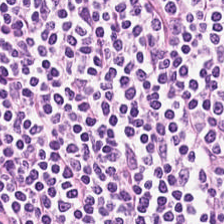H&E stain · formalin-fixed paraffin-embedded section.
{"tissue_type": "lymphocytes"}
